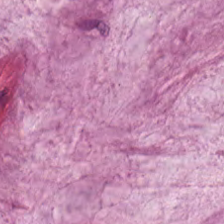H&E.
This field is mucin.
